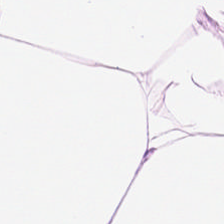H&E-stained tissue section.
Q: What type of tissue is this?
A: The field shows fat tissue.
